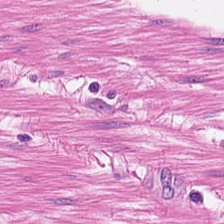FFPE. H&E stain — {"tissue_type": "muscularis"}
